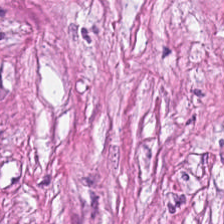Cancer-associated stroma.
